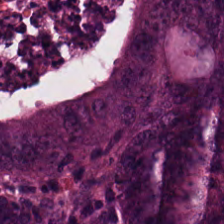Hematoxylin and eosin — The tissue here is tumor epithelium.
